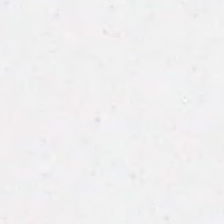FFPE; brightfield microscopy; H&E.
Q: What does this patch show?
A: It is no tissue.
